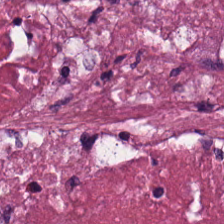Brightfield · H&E stain · 0.5 µm/px. Predominantly cellular debris.
